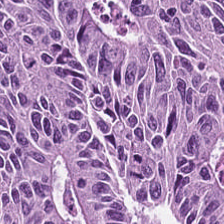0.5 µm/px · H&E stain.
Predominantly tumor epithelium.
